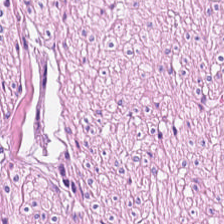Showing smooth muscle.
